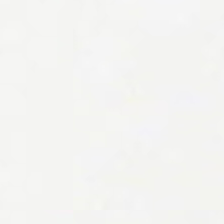H&E stain — No tissue present; background only.
